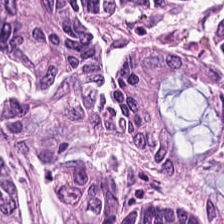H&E-stained section; the field shows colorectal adenocarcinoma epithelium.
